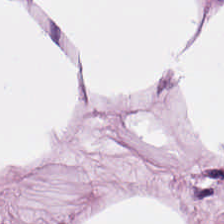H&E — fat tissue.
